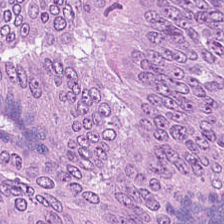224×224 px tile; H&E-stained tissue section. The tissue here is malignant epithelium.
